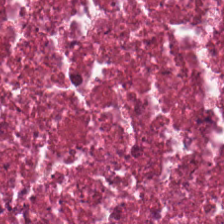Q: What does this patch show?
A: This is debris.
